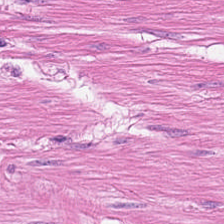H&E.
Impression — smooth-muscle tissue.
